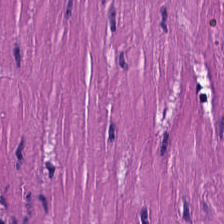Predominant tissue — smooth-muscle tissue.
